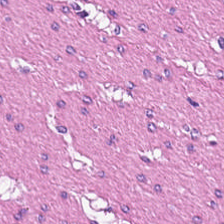224×224 px patch · H&E. The tissue class is smooth muscle.
